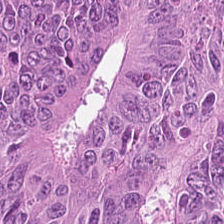FFPE. Hematoxylin and eosin. Showing tumor epithelium.
